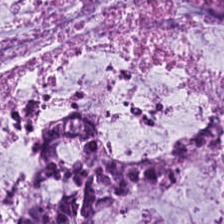Hematoxylin and eosin — Histology — mucus.
